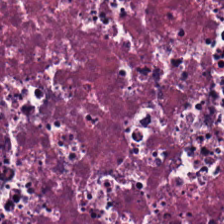Cellular debris.
